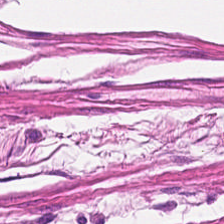H&E-stained tissue section.
The predominant tissue is smooth muscle.
